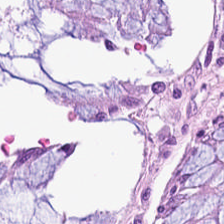Impression — normal colonic mucosa.
